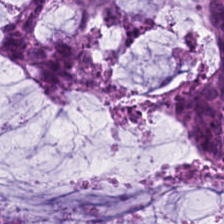Hematoxylin and eosin — Q: Classify this patch.
A: This is extracellular mucin.
